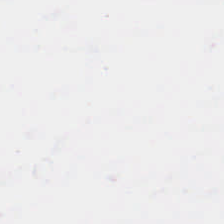H&E — Q: What is shown in this field?
A: The field shows background.
